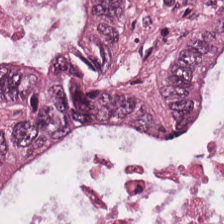Q: What type of tissue is this?
A: The field shows malignant epithelium.
